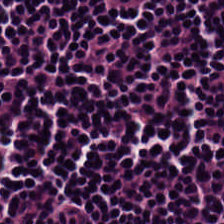H&E stain — Q: What is shown in this field?
A: This is lymphocyte aggregate.
